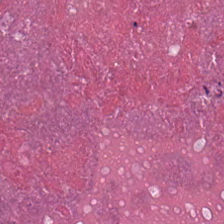Tissue type = debris.
